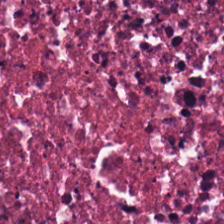Hematoxylin-and-eosin stained section. Tissue class: debris.
